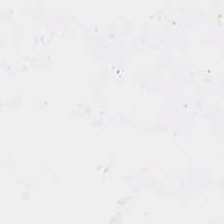Hematoxylin and eosin — No tissue.
